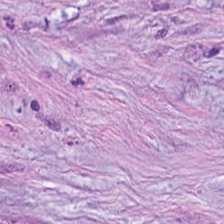H&E-stained tissue section. {"tissue_type": "tumor stroma"}
